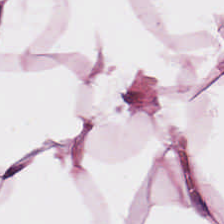The tissue is fat tissue.
